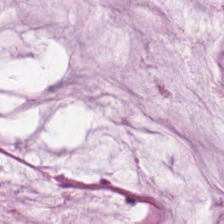Stain: hematoxylin and eosin.
Classification: extracellular mucin.
